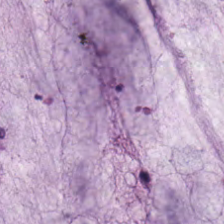FFPE tissue section; H&E stain; whole-slide-image patch — Q: What type of tissue is this?
A: This is mucin.
